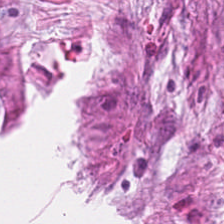{"tissue_type": "desmoplastic stroma"}
